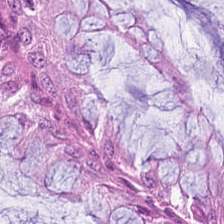Stain: H&E.
Resolution: 20× equivalent magnification.
Preparation: formalin-fixed paraffin-embedded section.
Tissue class: normal colon mucosa.
